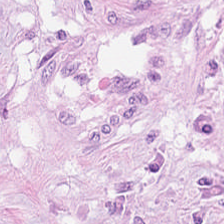Hematoxylin and eosin · formalin-fixed paraffin-embedded section — {"tissue_type": "tumor-associated stroma"}
